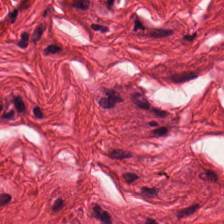H&E-stained tissue section · WSI patch.
The predominant tissue is muscularis.
